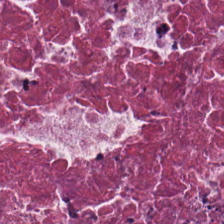Hematoxylin-and-eosin stained section. Histology — debris.
